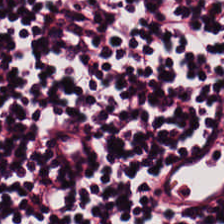H&E stain — This field is lymphoid infiltrate.
